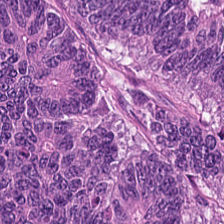H&E. Colorectal adenocarcinoma epithelium.
